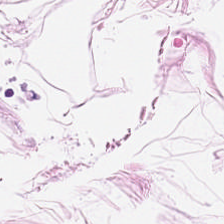Hematoxylin and eosin — Q: What tissue type is shown here?
A: Fat tissue.
